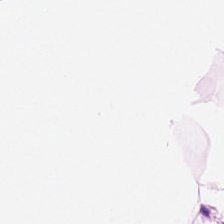FFPE tissue section; 224×224 pixel tile; H&E.
This patch shows fat tissue.
